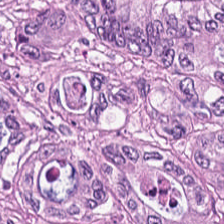H&E · brightfield microscopy · 0.5 µm/px. Tissue type = colorectal adenocarcinoma.
